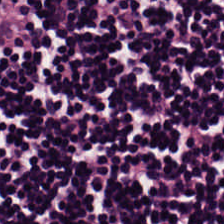Stain: H&E stain.
Tissue: lymphocytic infiltrate.
